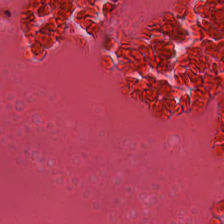Stain: H&E.
Acquisition: WSI patch.
Tissue class: cellular debris.
